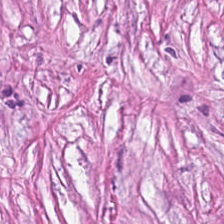WSI patch. H&E-stained tissue section. 0.5 microns per pixel — Finding → cancer-associated stroma.
